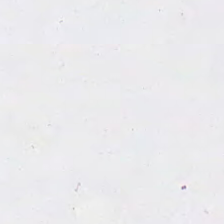H&E stain. This field is background (no tissue).
